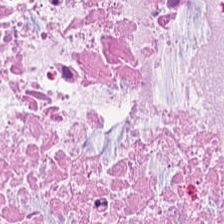0.5 microns per pixel · H&E stain · brightfield microscopy.
Histology — cellular debris.
